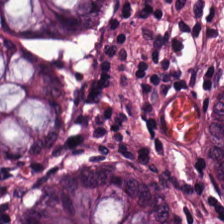H&E — Showing normal colonic mucosa.
